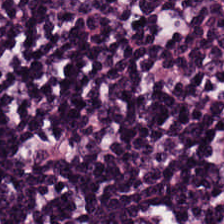0.5 µm per pixel. H&E-stained tissue section. Q: What tissue type is shown here?
A: It is lymphocyte aggregate.
